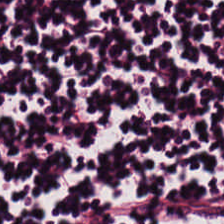Hematoxylin and eosin · whole-slide-image patch.
Histology — lymphocyte aggregate.
